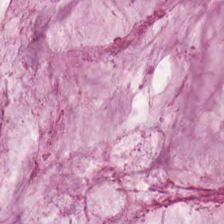H&E-stained tissue section.
Q: What tissue type is shown here?
A: It is mucus.
